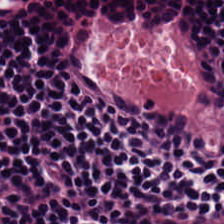Hematoxylin and eosin — The tissue class is lymphocyte aggregate.
